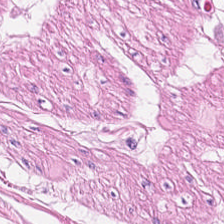0.5 µm/px; hematoxylin and eosin. Predominant tissue — smooth-muscle tissue.
